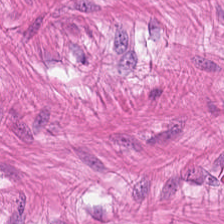FFPE. Brightfield. Hematoxylin-and-eosin stained section — Tissue = smooth-muscle tissue.
